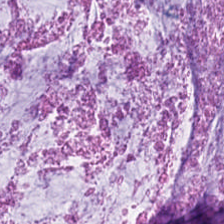H&E stain — Q: Classify this patch.
A: This is mucus.
